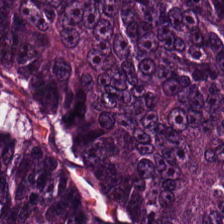Stain: hematoxylin-and-eosin stained section.
Preparation: FFPE.
Tissue type: adenocarcinoma.
